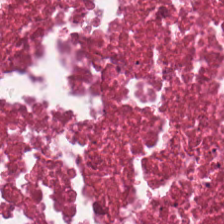Tissue type = necrotic debris.
